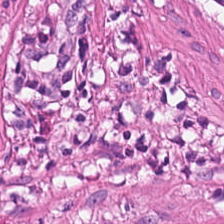H&E-stained tissue section — Impression → smooth-muscle tissue.
